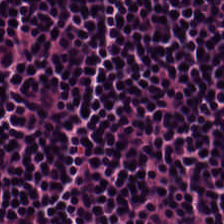Stain: H&E-stained tissue section.
Acquisition: brightfield microscopy.
Classification: lymphocyte aggregate.
